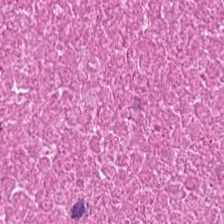H&E — debris.
